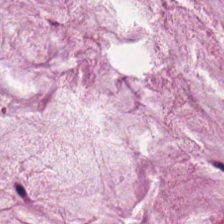H&E.
The tissue here is mucus.
